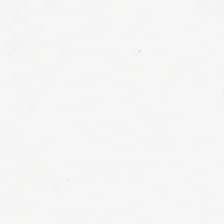H&E · 224×224 px patch.
The classification is background (no tissue).
